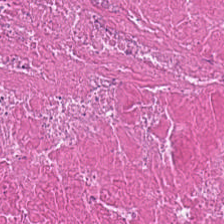Hematoxylin-and-eosin stained section. Finding → debris.
